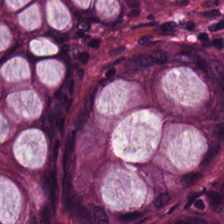Stain: hematoxylin-and-eosin stained section.
Tissue type: non-neoplastic colon mucosa.
